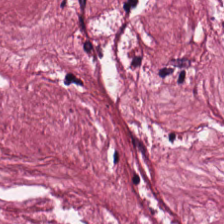Classification = tumor-associated stroma.
